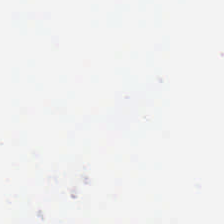Hematoxylin-and-eosin stained section — Q: What is shown in this field?
A: Background (no tissue).
